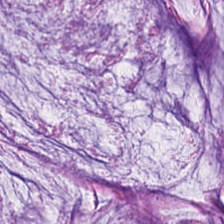H&E stain; brightfield microscopy.
Tissue = mucus.
